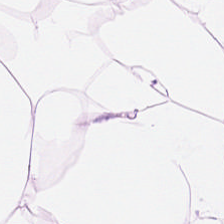H&E stain. WSI patch. Q: What tissue type is shown here?
A: The field shows adipocytes.
